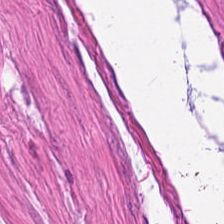Formalin-fixed paraffin-embedded section · 224×224 px patch · H&E-stained tissue section. The tissue type is smooth-muscle tissue.
